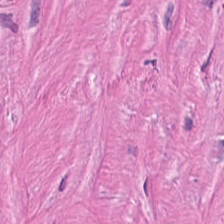Tissue type — tumor stroma.
